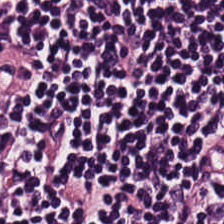The tissue here is lymphocytes.
